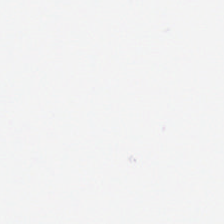Hematoxylin-and-eosin stained section. 20× equivalent magnification. Background — no tissue in this field.
